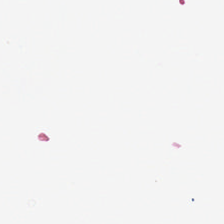FFPE; H&E. This field is background (no tissue).
